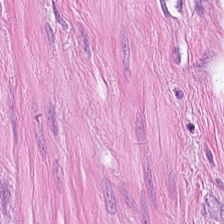Tissue type: muscularis.
